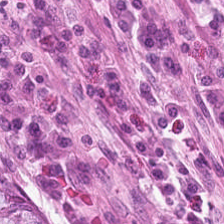Stain: H&E-stained tissue section.
Resolution: 0.5 µm per pixel.
Tissue class: normal colon mucosa.
